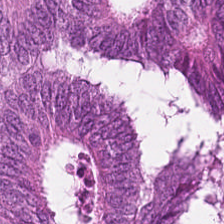H&E-stained tissue section. This field is colorectal adenocarcinoma epithelium.
